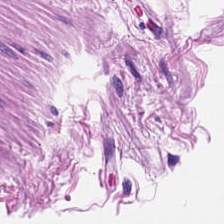H&E-stained tissue section · WSI patch · 224×224 pixel tile. Q: What tissue type is shown here?
A: Smooth-muscle tissue.
